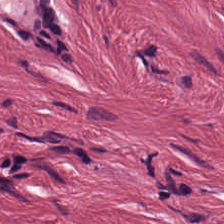224×224 px tile · 0.5 microns per pixel · H&E-stained tissue section.
{"tissue_type": "tumor-associated stroma"}
